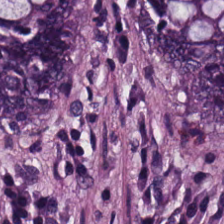Hematoxylin-and-eosin stained section. FFPE tissue section.
{"tissue_type": "non-neoplastic colon mucosa"}
